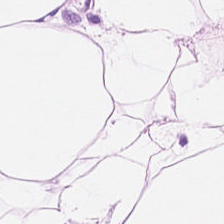H&E-stained tissue section; brightfield — This patch shows adipose tissue.
